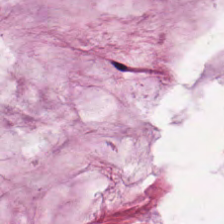FFPE tissue section; hematoxylin-and-eosin stained section. Q: What is shown here?
A: Mucus.
